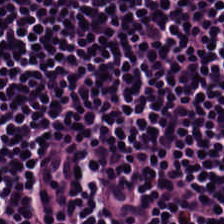H&E stain. Showing lymphocytic infiltrate.
